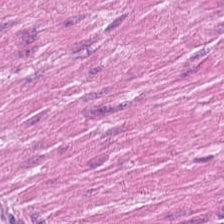H&E-stained tissue section.
Tissue type: muscularis.
